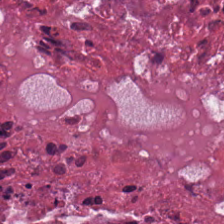Stain: H&E.
Acquisition: brightfield microscopy.
Predominant tissue: debris.
